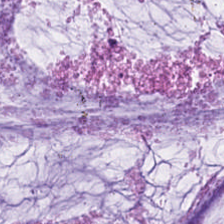FFPE tissue section; hematoxylin and eosin.
Classification: mucin.
